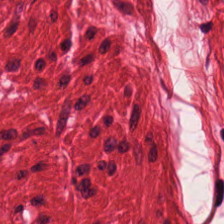Smooth muscle.
